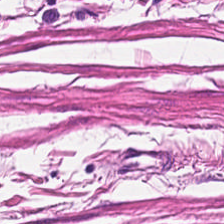Hematoxylin-and-eosin stained section. Tissue type: smooth-muscle tissue.
